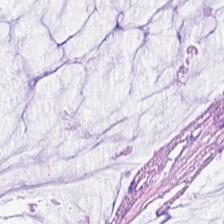H&E patch showing extracellular mucin.
